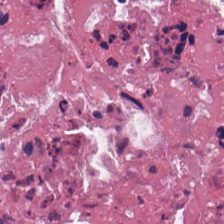H&E · formalin-fixed paraffin-embedded section. Impression — necrotic debris.
